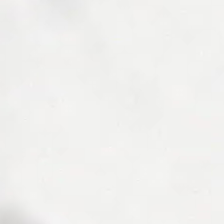FFPE · 224×224 px tile · H&E-stained tissue section. This patch shows empty background.
